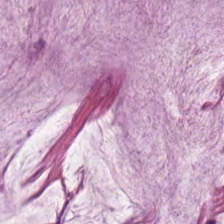The tissue is mucus.
